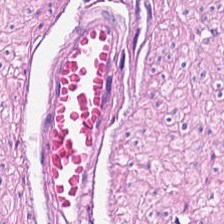20× equivalent magnification; H&E-stained tissue section.
The predominant tissue is muscularis.
